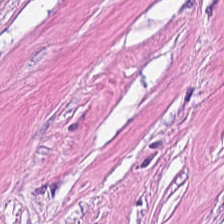H&E stain. The predominant tissue is desmoplastic stroma.
